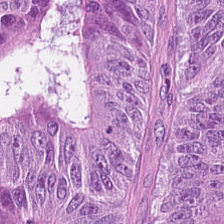The predominant tissue is colorectal adenocarcinoma epithelium.
